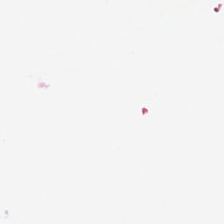Q: What is shown here?
A: The field shows no tissue.
